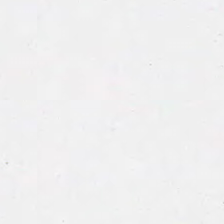Stain: H&E-stained tissue section.
Classification: empty background.
